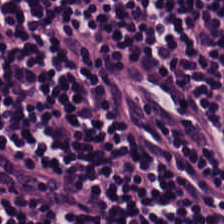H&E.
The tissue class is lymphoid infiltrate.
